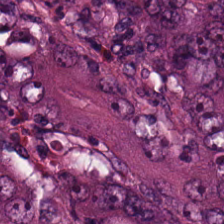Tissue: colorectal adenocarcinoma.
